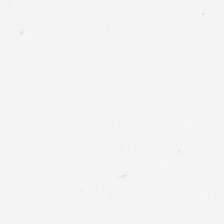Hematoxylin and eosin — Finding — background.
